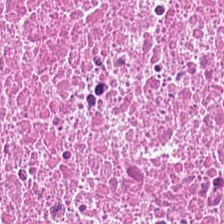This field is debris.
